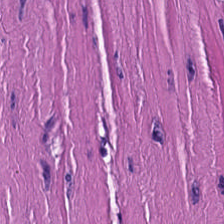Hematoxylin and eosin; whole-slide-image patch.
Q: What type of tissue is this?
A: This is muscularis.
